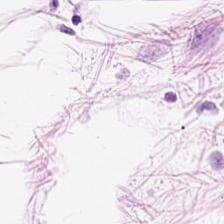224×224 px patch · FFPE · hematoxylin and eosin.
Predominantly adipose tissue.
